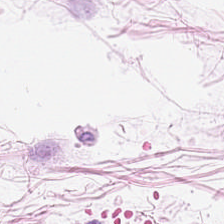Predominantly fat tissue.
